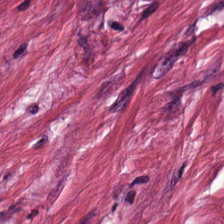0.5 µm/px · 224×224 px tile · H&E stain. Predominant tissue — desmoplastic stroma.
